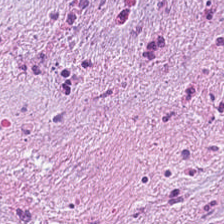H&E-stained tissue section.
Classification: desmoplastic stroma.
